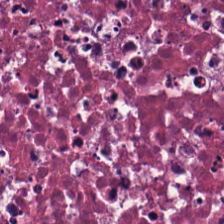Predominantly cellular debris.
